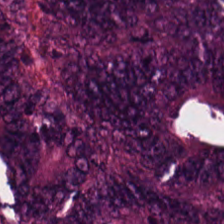Hematoxylin-and-eosin stained section. 20× equivalent magnification. {"tissue_type": "malignant epithelium"}
